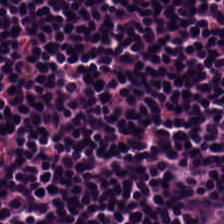Stain: hematoxylin and eosin.
Resolution: 0.5 microns per pixel.
Preparation: FFPE tissue section.
Tissue class: lymphoid infiltrate.
